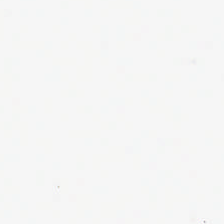H&E. 224×224 px tile.
Q: What is shown in this field?
A: It is background (no tissue).
